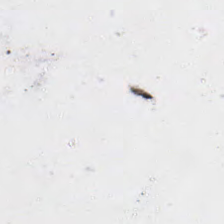Hematoxylin and eosin. 20× equivalent magnification.
Background — no tissue in this field.
